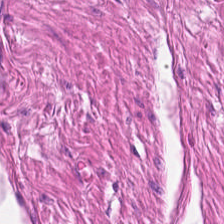The tissue here is muscularis.
